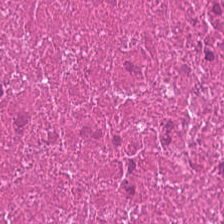H&E stain; FFPE tissue section. Predominant tissue: necrotic debris.
